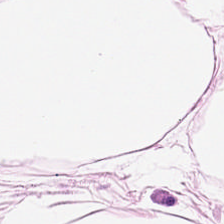Hematoxylin-and-eosin stained section. Formalin-fixed paraffin-embedded section — Tissue: fat tissue.
